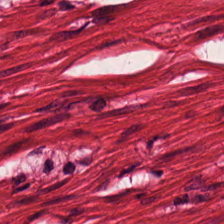Hematoxylin and eosin.
This patch shows smooth-muscle tissue.
